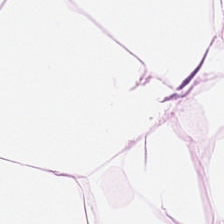Stain: hematoxylin and eosin.
Acquisition: WSI patch.
Predominant tissue: adipose tissue.
